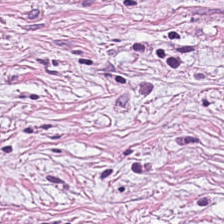Stain: H&E stain.
Resolution: 0.5 µm/px.
Preparation: formalin-fixed paraffin-embedded section.
Predominant tissue: tumor stroma.
